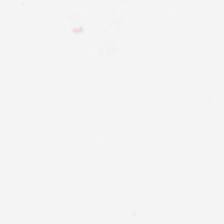No tissue present; background only.
